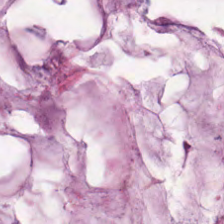Impression — mucin.
